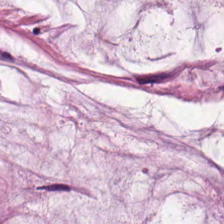Stain: hematoxylin and eosin.
Tissue: extracellular mucin.
